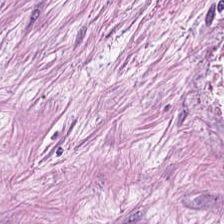FFPE tissue section; hematoxylin and eosin; 224×224 pixel tile — The tissue type is cancer-associated stroma.
